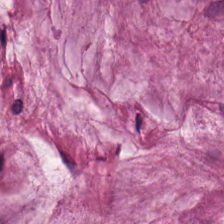H&E-stained tissue section.
Predominant tissue = mucus.
